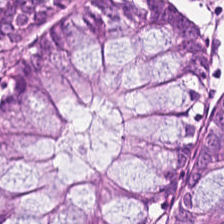FFPE. Hematoxylin-and-eosin stained section. 20× equivalent magnification.
Q: What tissue is shown?
A: The field shows non-neoplastic colon mucosa.
